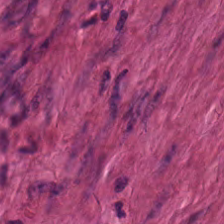Q: What type of tissue is this?
A: This is muscularis.
